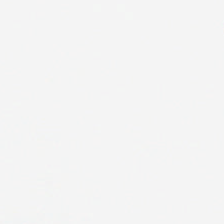Q: Classify this patch.
A: Background.
